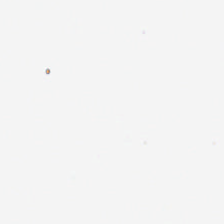20× equivalent magnification; H&E-stained tissue section — The field content is background (no tissue).
